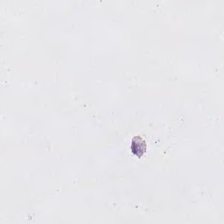H&E stain; FFPE tissue section — This field is background (no tissue).
